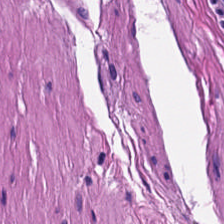FFPE tissue section · 20× equivalent magnification · hematoxylin-and-eosin stained section. Tissue: muscularis.
